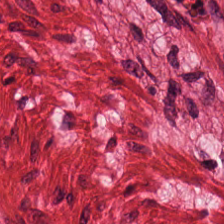H&E — smooth-muscle tissue.
